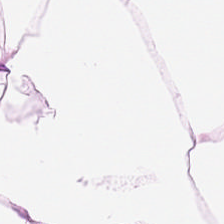224×224 px tile; hematoxylin and eosin.
Histology — adipose.
